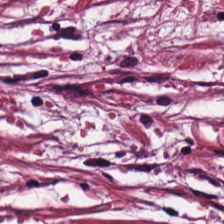H&E; FFPE tissue section. The tissue type is tumor-associated stroma.
